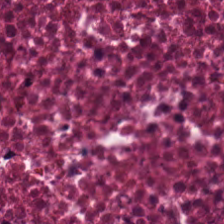H&E · formalin-fixed paraffin-embedded section — Q: What is shown here?
A: This is debris.
